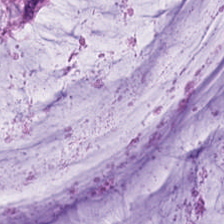Q: What does this patch show?
A: It is mucus.
